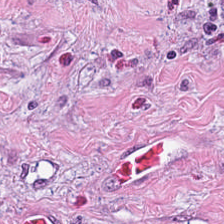Q: Classify this patch.
A: It is desmoplastic stroma.
